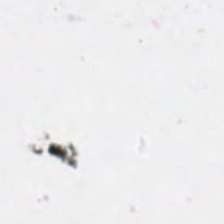H&E-stained tissue section. WSI patch. Field content = no tissue.
